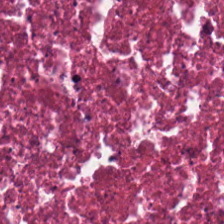Stain: H&E.
Acquisition: brightfield microscopy.
Classification: debris.
